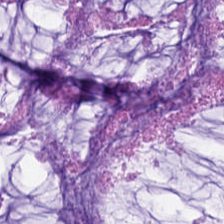H&E-stained tissue section. Q: What does this patch show?
A: This is mucus.
